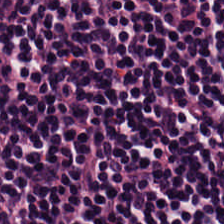H&E-stained tissue section.
Q: What tissue is shown?
A: It is lymphocytic infiltrate.
